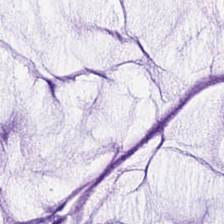Predominantly mucin.
